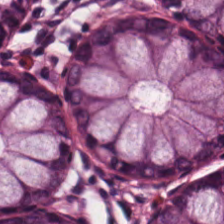FFPE; hematoxylin and eosin.
The tissue here is normal colonic mucosa.
